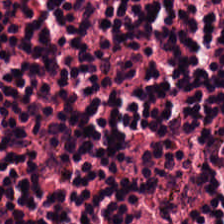Hematoxylin and eosin; brightfield.
Showing lymphoid infiltrate.
